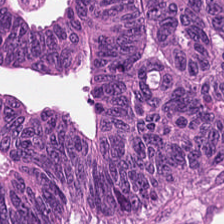H&E. Whole-slide-image patch.
Colorectal adenocarcinoma epithelium.
